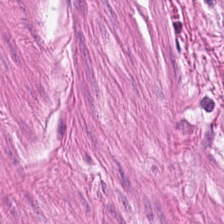H&E-stained tissue section. Showing muscularis.
